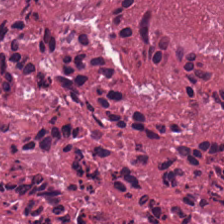H&E. Showing necrotic debris.
